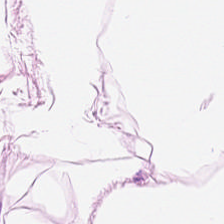Stain: H&E-stained tissue section.
Tissue class: adipose tissue.
